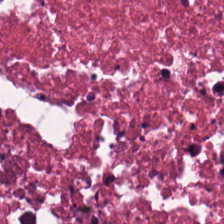Hematoxylin and eosin; FFPE tissue section; 224×224 px patch. Predominantly cellular debris.
